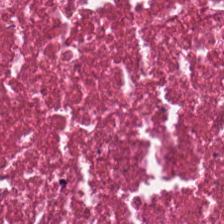H&E. Q: What is shown here?
A: The field shows cellular debris.
